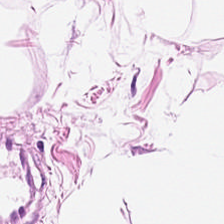H&E-stained section; the field shows fat tissue.
